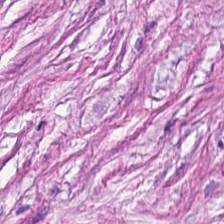FFPE · 224×224 px patch · H&E-stained tissue section.
Tissue class: desmoplastic stroma.
